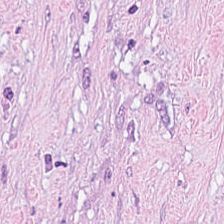WSI patch · hematoxylin-and-eosin stained section · 0.5 microns per pixel — The tissue here is desmoplastic stroma.
